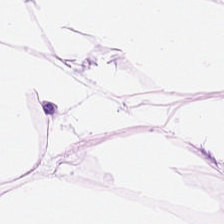Hematoxylin-and-eosin stained section.
Showing adipose.
